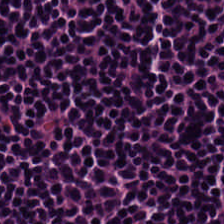Hematoxylin and eosin. Finding — lymphocytic infiltrate.
